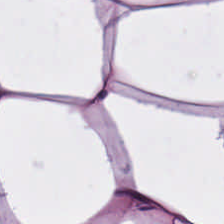H&E-stained tissue section.
Q: Identify the tissue.
A: It is adipose tissue.
